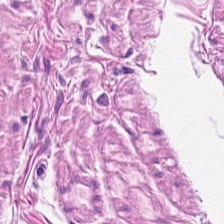H&E stain. The predominant tissue is smooth muscle.
